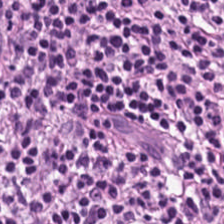Hematoxylin-and-eosin stained section.
Lymphoid infiltrate.
